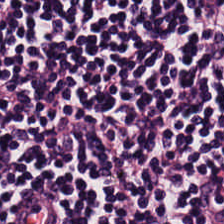Hematoxylin and eosin. Classification: lymphocytes.
